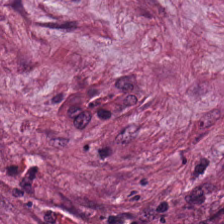Histology — desmoplastic stroma.
